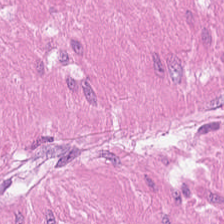Hematoxylin and eosin — {"tissue_type": "smooth-muscle tissue"}
